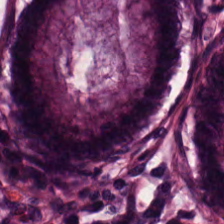Classification: normal colonic mucosa.
